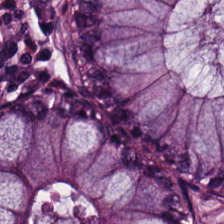Stain: H&E.
Tissue: non-neoplastic colon mucosa.
